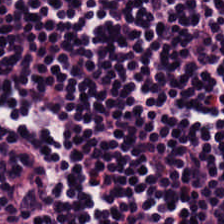H&E stain.
{"tissue_type": "lymphocytes"}
